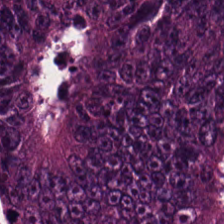Colorectal adenocarcinoma.
